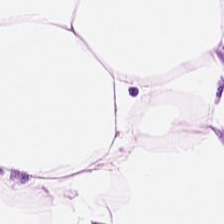H&E. 224×224 px patch. Brightfield microscopy. Finding → adipocytes.
